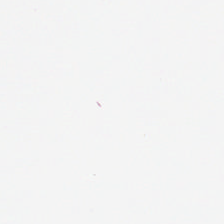0.5 µm per pixel · H&E · WSI patch — This patch shows background.
